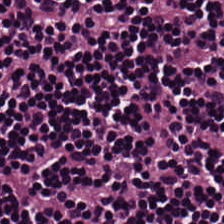{"tissue_type": "lymphoid infiltrate"}
